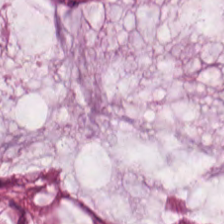Hematoxylin-and-eosin stained section; 0.5 µm per pixel. Impression → extracellular mucin.
